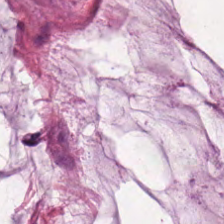H&E · brightfield microscopy.
Predominantly extracellular mucin.
